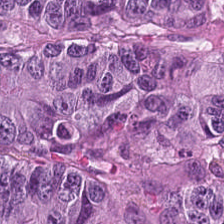Histology — colorectal adenocarcinoma.
